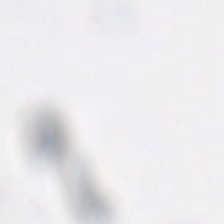H&E; 20× equivalent magnification — Q: Classify this patch.
A: This is background (no tissue).
